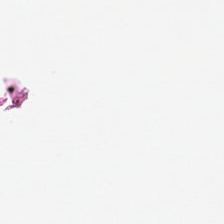Whole-slide-image patch. 224×224 px patch. Hematoxylin and eosin.
Q: What is shown here?
A: It is background.
